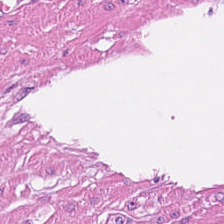H&E stain.
Histology → muscularis.
